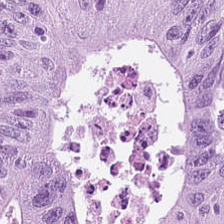Finding — colorectal adenocarcinoma.
